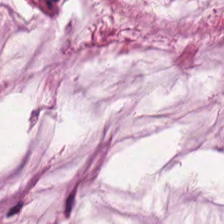Hematoxylin and eosin. FFPE tissue section. 224×224 pixel tile. {"tissue_type": "extracellular mucin"}
